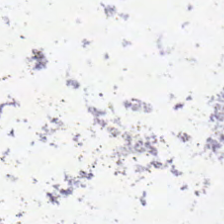H&E-stained tissue section — Background (no tissue).
